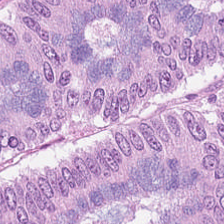H&E-stained tissue section showing malignant epithelium.
